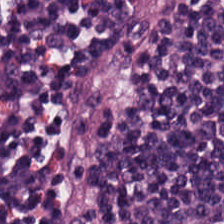H&E. Formalin-fixed paraffin-embedded section — This patch shows lymphocytes.
